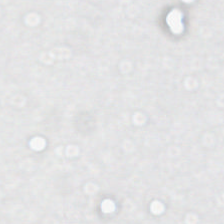Hematoxylin-and-eosin stained section; FFPE. This patch shows background (no tissue).
